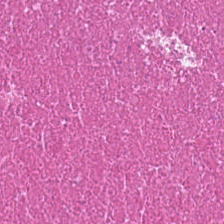224×224 px tile; hematoxylin and eosin — {"tissue_type": "debris"}
